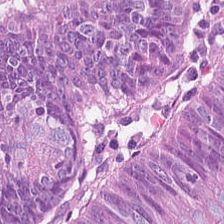This field is tumor epithelium.
